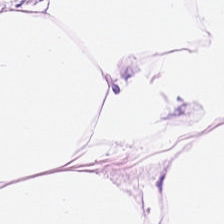H&E stain. Classification: adipose tissue.
